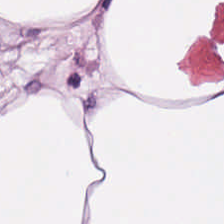Stain: H&E stain.
Tissue type: fat tissue.
